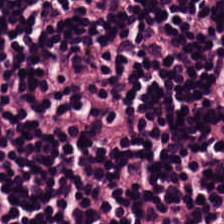H&E-stained tissue section.
This patch shows lymphoid infiltrate.
